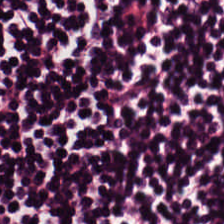FFPE tissue section. H&E stain — Showing lymphocytic infiltrate.
